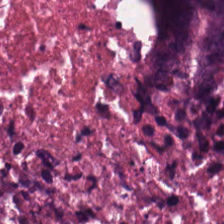H&E.
Showing necrotic debris.
